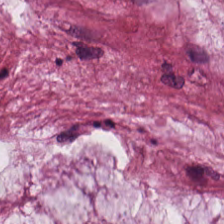H&E-stained tissue section.
{"tissue_type": "mucin"}
